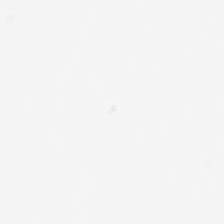Brightfield. Hematoxylin-and-eosin stained section. 0.5 microns per pixel. {"content": "empty background"}
